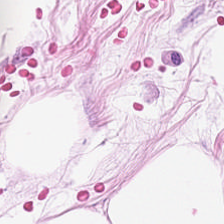Stain: H&E-stained tissue section.
Preparation: FFPE.
Predominant tissue: adipose.
